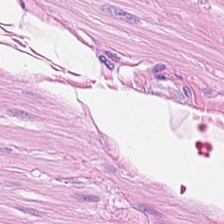Hematoxylin-and-eosin stained section. Predominant tissue — muscularis.
